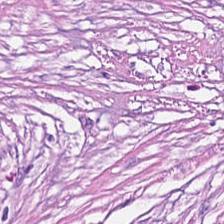Histology — desmoplastic stroma.
